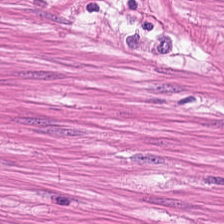H&E stain. Smooth-muscle tissue.
